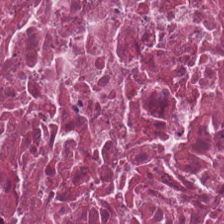Formalin-fixed paraffin-embedded section; whole-slide-image patch; H&E stain — Q: What is the predominant tissue type?
A: This is necrotic debris.
